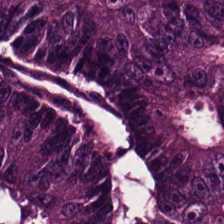H&E · whole-slide-image patch · FFPE.
Classification: malignant epithelium.
